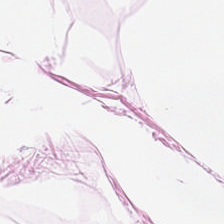Finding → adipose tissue.
